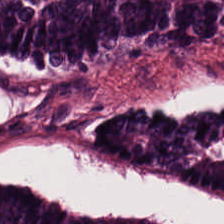Finding — colorectal adenocarcinoma epithelium.
